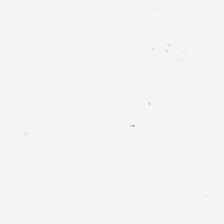Finding → no tissue.
